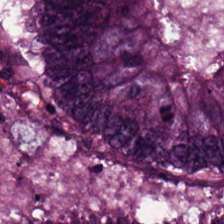224×224 pixel tile · hematoxylin and eosin. The tissue here is adenocarcinoma.
